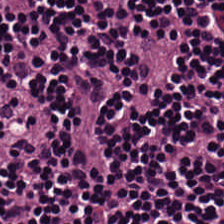Stain: H&E.
Tissue type: lymphocytes.
